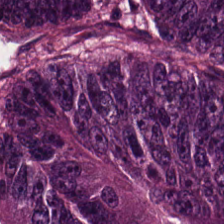H&E-stained tissue section.
The predominant tissue is colorectal adenocarcinoma.
